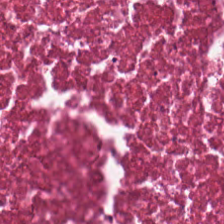The classification is necrotic debris.
